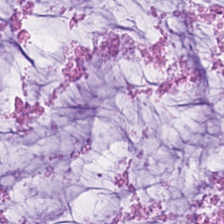H&E stain — This patch shows mucin.
